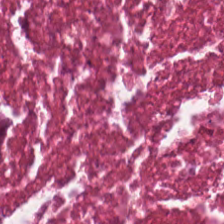224×224 px patch; H&E; brightfield. Q: What tissue is shown?
A: It is cellular debris.
